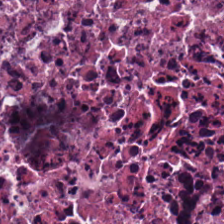Stain: H&E stain.
Preparation: FFPE.
Predominant tissue: necrotic debris.
